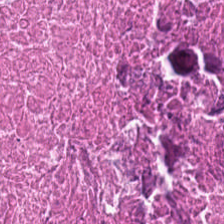H&E — necrotic debris.
